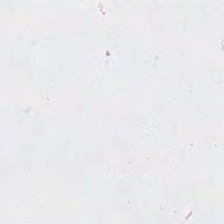H&E stain · FFPE tissue section.
Q: What is shown in this field?
A: It is background (no tissue).
